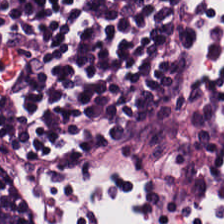Whole-slide-image patch; H&E — Showing lymphocytes.
